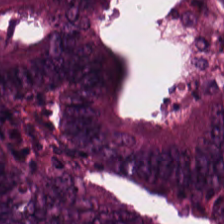Q: What does this patch show?
A: This is adenocarcinoma.
